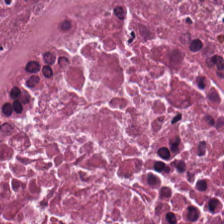H&E stain; 224×224 px tile; brightfield microscopy — {"tissue_type": "cellular debris"}
